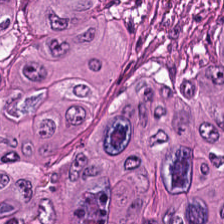FFPE; H&E.
{"tissue_type": "adenocarcinoma"}
